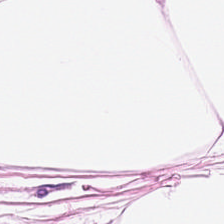H&E-stained tissue section. Q: What tissue type is shown here?
A: It is adipose.
